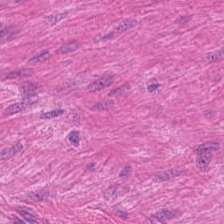Finding — smooth-muscle tissue.
